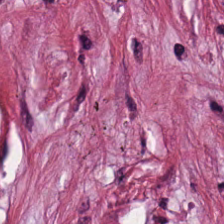Brightfield microscopy. Hematoxylin and eosin. 0.5 µm per pixel. {"tissue_type": "tumor-associated stroma"}
